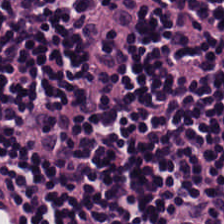Hematoxylin-and-eosin stained section. WSI patch. FFPE — Impression → lymphocyte aggregate.
